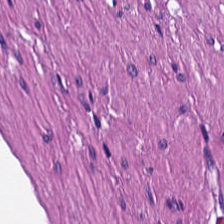Hematoxylin-and-eosin section: smooth-muscle tissue.
